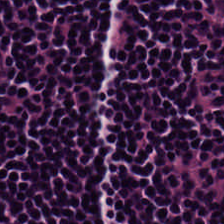The predominant tissue is lymphocyte aggregate.
